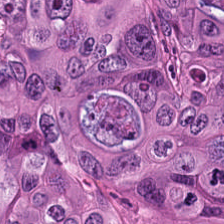Hematoxylin-and-eosin stained section · 0.5 µm/px. The tissue here is malignant epithelium.
